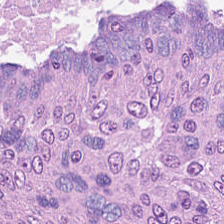H&E stain. Q: What tissue is shown?
A: It is malignant epithelium.
